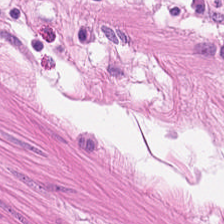Formalin-fixed paraffin-embedded section · H&E-stained tissue section · 224×224 px tile. Q: Classify this patch.
A: Muscularis.
